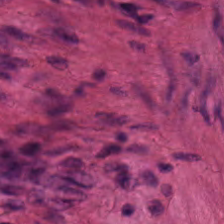The tissue here is muscularis.
